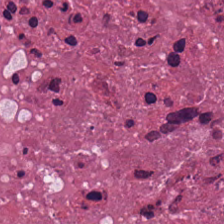Classification: cellular debris.
